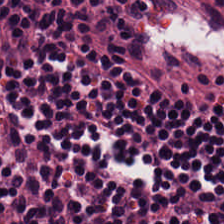224×224 px patch. H&E-stained tissue section — Tissue — lymphoid infiltrate.
